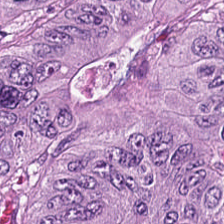Stain: H&E stain.
Classification: colorectal adenocarcinoma.
